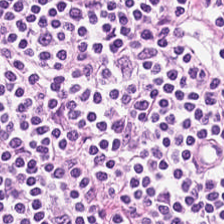H&E stain.
Showing lymphocytic infiltrate.
